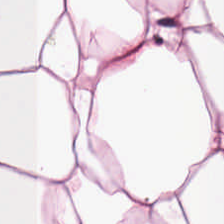H&E.
Predominant tissue = adipocytes.
